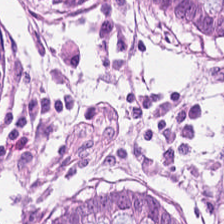FFPE; H&E stain; 0.5 µm per pixel. Finding → normal colonic mucosa.
